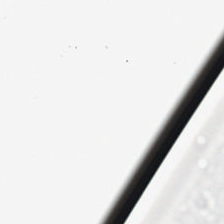Whole-slide-image patch · H&E stain. Background.
